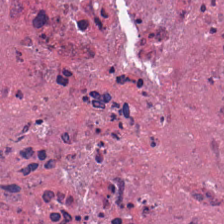H&E — Debris.
